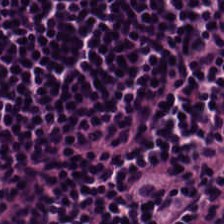H&E stain. The tissue here is lymphocytic infiltrate.
